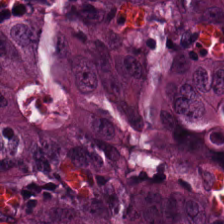H&E-stained tissue section — The predominant tissue is colorectal adenocarcinoma epithelium.
